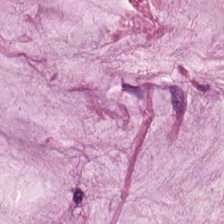FFPE. Hematoxylin-and-eosin stained section. Whole-slide-image patch. Tissue: mucus.
